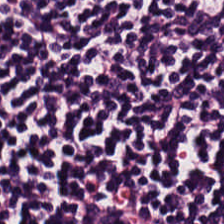Stain: H&E-stained tissue section.
Acquisition: brightfield microscopy.
Tissue class: lymphocyte aggregate.
